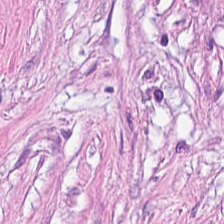H&E-stained tissue section — Q: Identify the tissue.
A: It is desmoplastic stroma.
